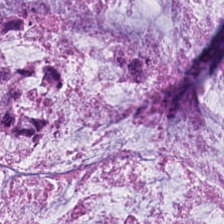H&E. FFPE tissue section. Brightfield — Finding → mucin.
